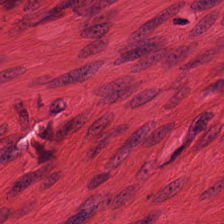Stain: H&E-stained tissue section.
Tissue: muscularis.
